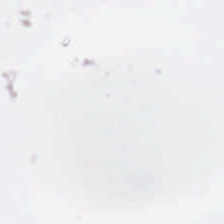H&E stain — Q: What does this patch show?
A: This is background.
